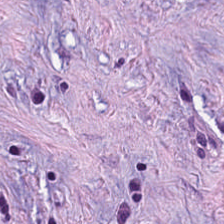Q: Identify the tissue.
A: This is cancer-associated stroma.
